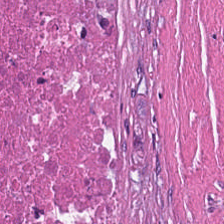Brightfield. H&E-stained tissue section — Finding — necrotic debris.
